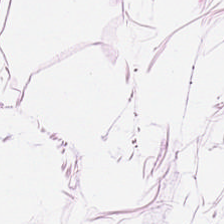Stain: H&E stain.
Classification: adipose tissue.
